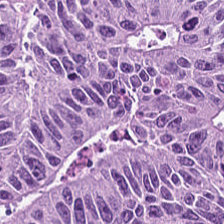Hematoxylin and eosin. {"tissue_type": "adenocarcinoma"}
